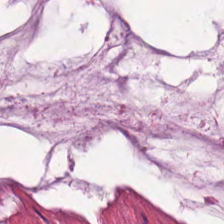Predominant tissue — extracellular mucin.
